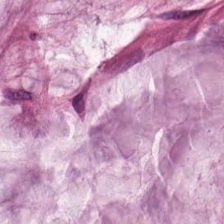Q: What is shown in this field?
A: The field shows mucin.
